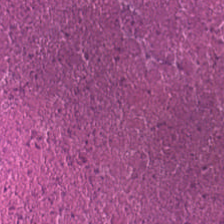H&E-stained tissue section. The predominant tissue is necrotic debris.
